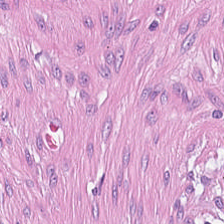This patch shows desmoplastic stroma.
